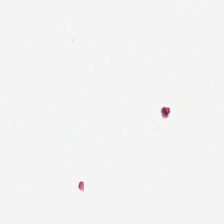Q: Classify this patch.
A: The field shows background (no tissue).
